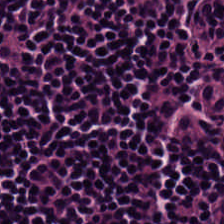H&E stain. Classification: lymphocytes.
